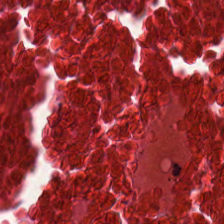Stain: hematoxylin-and-eosin stained section.
Classification: necrotic debris.
